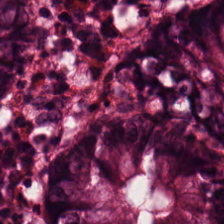H&E stain. 224×224 px patch. 0.5 µm per pixel. The predominant tissue is normal colonic mucosa.
